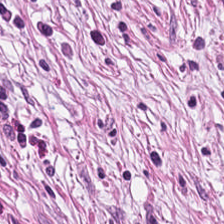0.5 microns per pixel · FFPE · H&E — Q: What tissue type is shown here?
A: It is tumor stroma.
